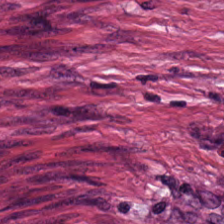224×224 px patch. H&E stain. Brightfield.
The tissue here is desmoplastic stroma.
